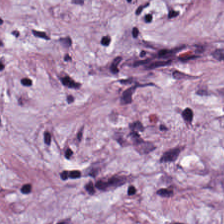Stain: H&E stain.
Predominant tissue: cancer-associated stroma.
